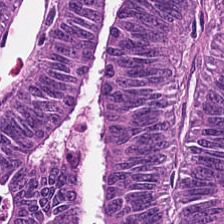H&E.
The predominant tissue is tumor epithelium.
